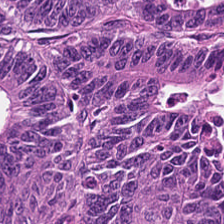Hematoxylin-and-eosin stained section. Impression → colorectal adenocarcinoma epithelium.
